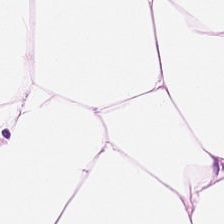This patch shows fat tissue.
